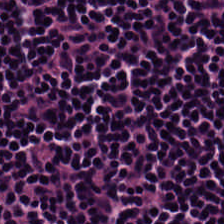224×224 px patch · hematoxylin-and-eosin stained section — The predominant tissue is lymphocytic infiltrate.
